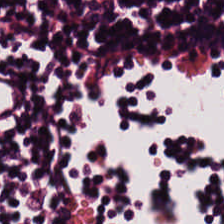H&E-stained tissue section — Lymphocytes.
